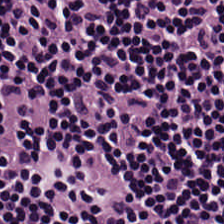H&E. Tissue type — lymphocytes.
